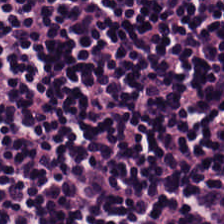Hematoxylin-and-eosin stained section. Q: Classify this patch.
A: The field shows lymphocytes.
